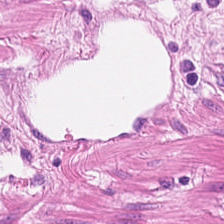H&E stain — The tissue here is smooth muscle.
